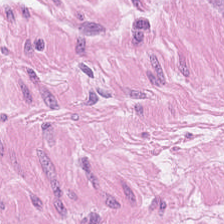Q: What is shown here?
A: Smooth-muscle tissue.
